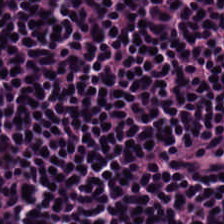H&E-stained tissue section.
Q: What is shown in this field?
A: Lymphoid infiltrate.
